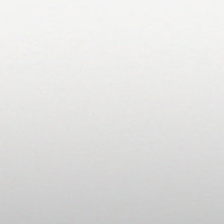H&E.
Q: What is shown in this field?
A: It is background.
